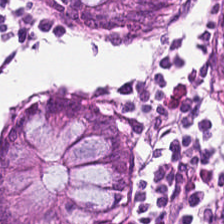This patch shows non-neoplastic colon mucosa.
